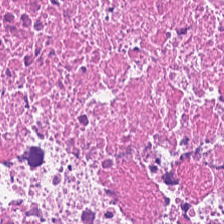H&E-stained tissue section — Q: What is shown in this field?
A: Cellular debris.
